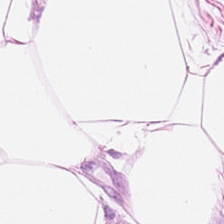H&E stain — This patch shows adipose tissue.
